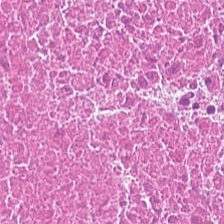Hematoxylin-and-eosin stained section. FFPE tissue section. This field is cellular debris.
